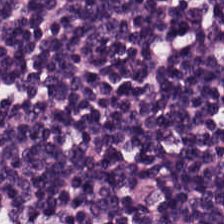Stain: hematoxylin and eosin.
Preparation: FFPE.
Acquisition: whole-slide-image patch.
Tissue class: lymphoid infiltrate.
